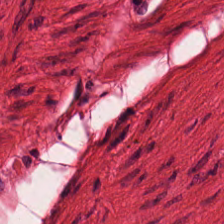Hematoxylin and eosin · formalin-fixed paraffin-embedded section · 224×224 px tile. Classification = smooth muscle.
